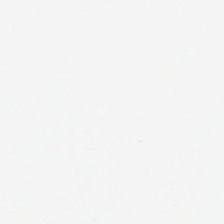0.5 µm per pixel. Hematoxylin and eosin — Classification = empty background.
